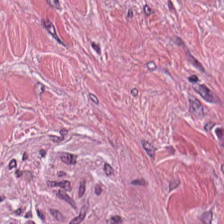H&E-stained tissue section.
Predominantly desmoplastic stroma.
